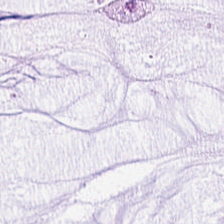H&E. Brightfield microscopy — This patch shows extracellular mucin.
